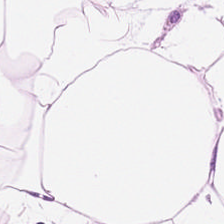Q: What does this patch show?
A: Adipocytes.
